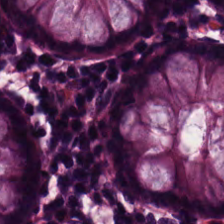H&E — Showing benign colonic mucosa.
